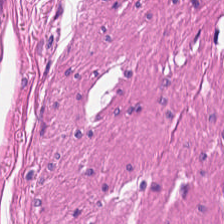Brightfield microscopy · hematoxylin and eosin · 20× equivalent magnification — Q: What type of tissue is this?
A: The field shows smooth-muscle tissue.
